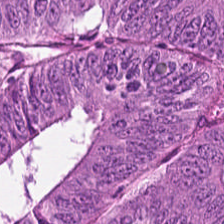{"tissue_type": "colorectal adenocarcinoma epithelium"}
